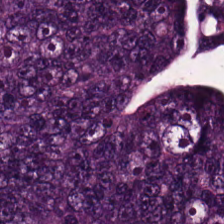FFPE tissue section. 224×224 px patch. H&E. The tissue type is colorectal adenocarcinoma epithelium.
